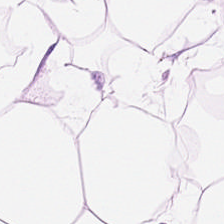Tissue type — adipose tissue.
